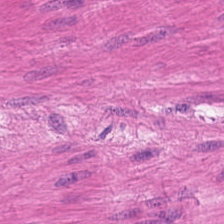Hematoxylin and eosin — Muscularis.
